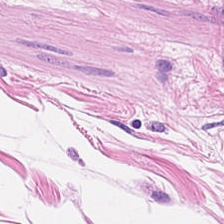Stain: H&E stain.
Tissue class: smooth muscle.
